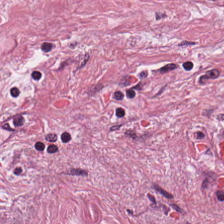H&E-stained tissue section. Tissue: cancer-associated stroma.
